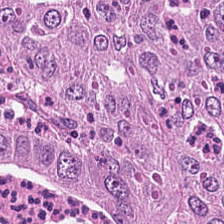Tissue type = colorectal adenocarcinoma.
